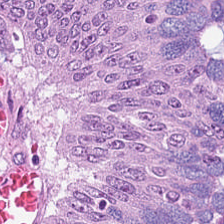Hematoxylin-and-eosin stained section.
Tissue class: malignant epithelium.
